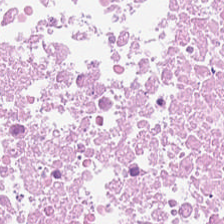The tissue here is cellular debris.
